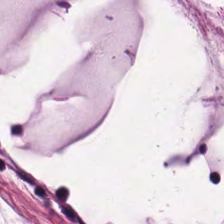FFPE tissue section; H&E stain. Tissue class — mucus.
